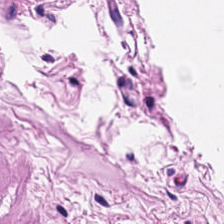Hematoxylin and eosin.
This field is smooth-muscle tissue.
